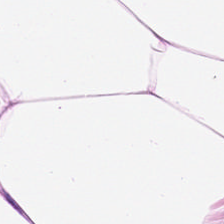Stain: H&E.
Tile size: 224×224 px patch.
Acquisition: brightfield.
Tissue class: adipose.
